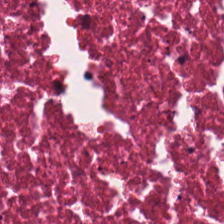H&E-stained tissue section · 224×224 pixel tile · FFPE tissue section. {"tissue_type": "cellular debris"}
